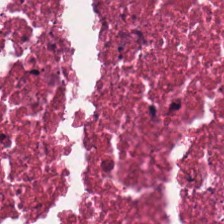Hematoxylin and eosin — {"tissue_type": "cellular debris"}
